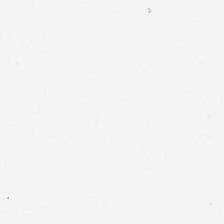H&E · 224×224 pixel tile — This field is background (no tissue).
